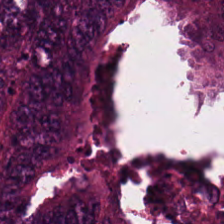Stain: H&E.
Tissue: malignant epithelium.
